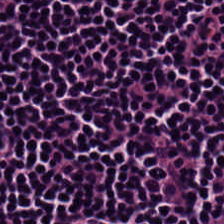{"tissue_type": "lymphocytes"}
